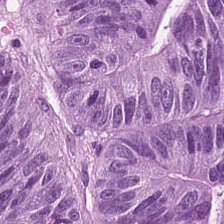H&E. This field is adenocarcinoma.
